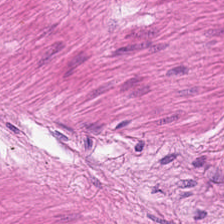Hematoxylin and eosin; formalin-fixed paraffin-embedded section. Q: What is shown in this field?
A: The field shows muscularis.
